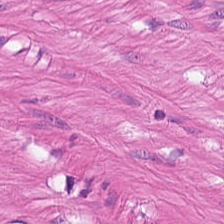Hematoxylin and eosin. {"tissue_type": "smooth muscle"}
